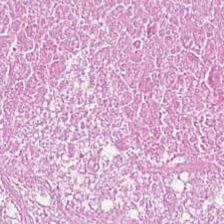20× equivalent magnification. Hematoxylin-and-eosin stained section.
This patch shows necrotic debris.
